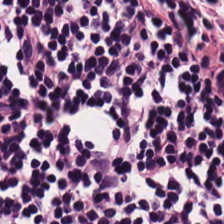Stain: hematoxylin and eosin.
Predominant tissue: lymphocyte aggregate.
